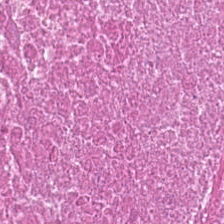H&E-stained section; the field shows necrotic debris.
